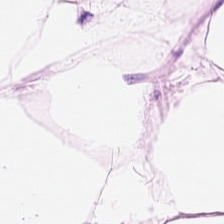H&E; formalin-fixed paraffin-embedded section; 224×224 pixel tile. Predominantly adipose tissue.
